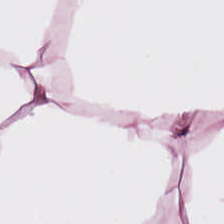Brightfield; H&E stain; FFPE tissue section. The tissue here is adipose.
